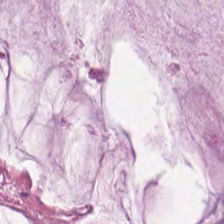Brightfield microscopy; H&E-stained tissue section. Predominant tissue — mucus.
